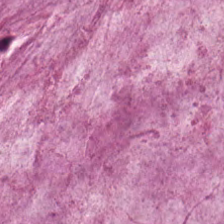224×224 px patch. Hematoxylin and eosin. FFPE tissue section — The predominant tissue is mucus.
